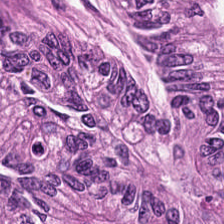FFPE · hematoxylin-and-eosin stained section · 0.5 microns per pixel — Q: What type of tissue is this?
A: It is colorectal adenocarcinoma epithelium.
